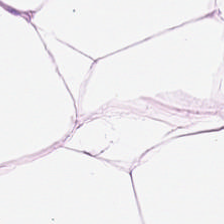Tissue type = adipocytes.
